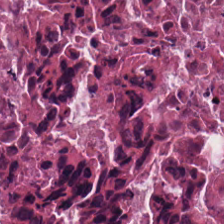0.5 microns per pixel; formalin-fixed paraffin-embedded section; hematoxylin-and-eosin stained section. The predominant tissue is debris.
